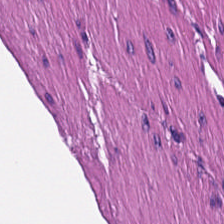Hematoxylin-and-eosin stained section — Histology — smooth muscle.
